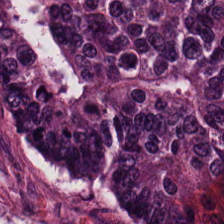H&E — Q: What is shown in this field?
A: This is colorectal adenocarcinoma epithelium.
